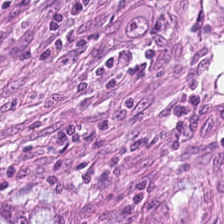Hematoxylin and eosin · brightfield microscopy.
Q: What is the predominant tissue type?
A: It is malignant epithelium.
